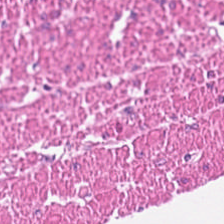H&E stain; 224×224 px tile.
Predominant tissue: smooth-muscle tissue.
